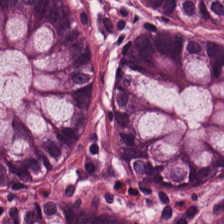H&E-stained tissue section. 0.5 µm/px. Brightfield — Normal colon mucosa.
